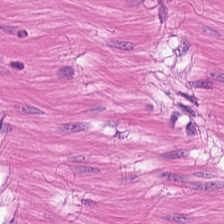H&E stain. Showing smooth muscle.
